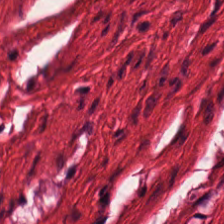Hematoxylin-and-eosin section: smooth muscle.
